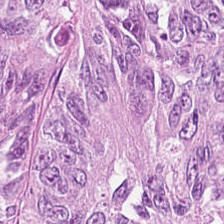224×224 px tile · hematoxylin-and-eosin stained section · WSI patch. Predominant tissue — malignant epithelium.
